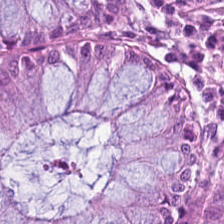Stain: H&E.
Tissue type: normal colonic mucosa.
